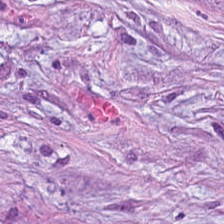20× equivalent magnification; brightfield microscopy; H&E-stained tissue section.
Impression — tumor-associated stroma.
